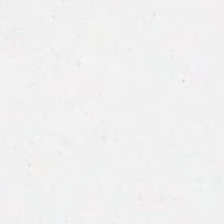Hematoxylin-and-eosin stained section — Field content: background.
